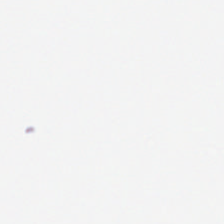Hematoxylin-and-eosin stained section. The field content is no tissue.
